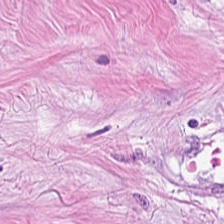Stain: hematoxylin and eosin.
Acquisition: brightfield microscopy.
Predominant tissue: cancer-associated stroma.
